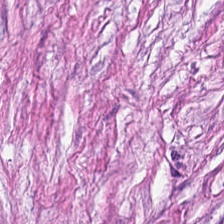H&E stain. Tumor-associated stroma.
